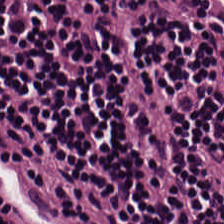H&E; 224×224 px patch.
Q: What does this patch show?
A: Lymphocytic infiltrate.
